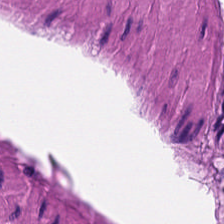H&E-stained tissue section.
This field is smooth-muscle tissue.
